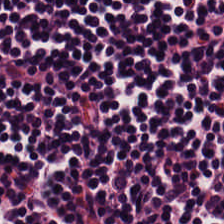0.5 µm per pixel. 224×224 pixel tile. H&E-stained tissue section — This field is lymphocyte aggregate.
